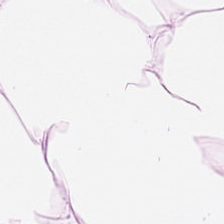0.5 µm per pixel; 224×224 pixel tile; hematoxylin and eosin. This field is fat tissue.
